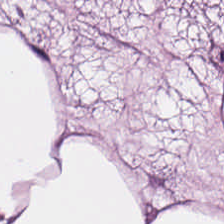H&E-stained tissue section showing adipose.
